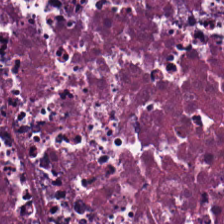Formalin-fixed paraffin-embedded section; hematoxylin and eosin; WSI patch. Predominantly necrotic debris.
